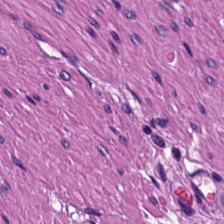H&E stain — This patch shows smooth muscle.
